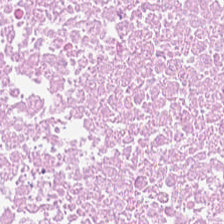Hematoxylin and eosin.
Tissue class = cellular debris.
